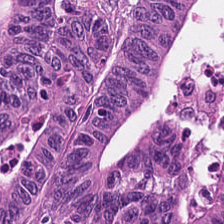Tissue class: adenocarcinoma.
